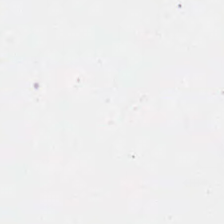Q: What does this patch show?
A: Background.
